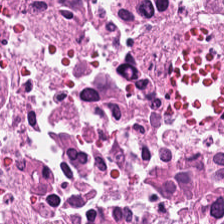This field is necrotic debris.
